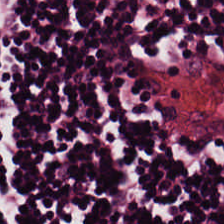H&E-stained tissue section — Q: Identify the tissue.
A: This is lymphocyte aggregate.
